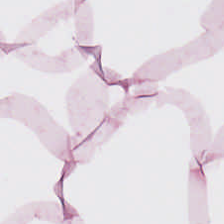Whole-slide-image patch · H&E-stained tissue section. Finding — adipose.
